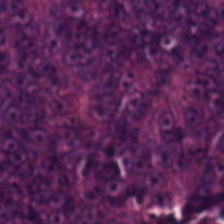Stain: hematoxylin and eosin.
Tile size: 224×224 px tile.
Resolution: 0.5 µm/px.
Tissue: colorectal adenocarcinoma epithelium.
